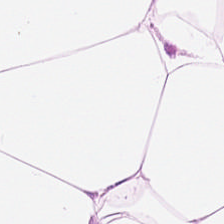H&E stain. Q: What does this patch show?
A: Adipose.
